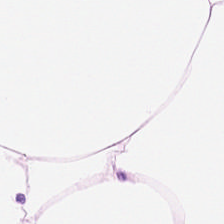224×224 px tile. Hematoxylin-and-eosin stained section. The tissue here is adipose.
